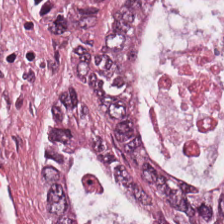H&E; FFPE tissue section.
Histology — adenocarcinoma.
